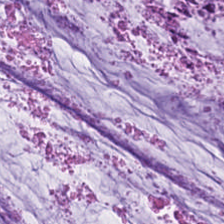Q: What tissue is shown?
A: It is mucus.
